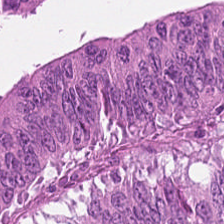H&E-stained tissue section — The tissue here is colorectal adenocarcinoma.
